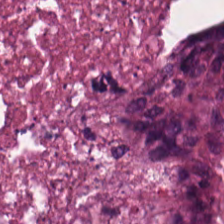Stain: H&E-stained tissue section.
Resolution: 0.5 microns per pixel.
Tile size: 224×224 px tile.
Tissue: debris.
